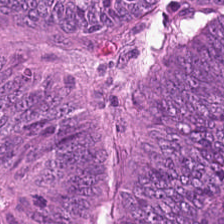H&E stain.
The predominant tissue is adenocarcinoma.
